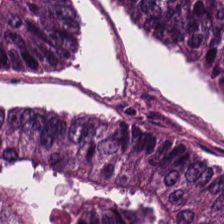Hematoxylin-and-eosin stained section.
Q: What is the predominant tissue type?
A: This is tumor epithelium.
